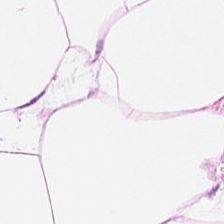Hematoxylin-and-eosin stained section — The predominant tissue is adipose.
